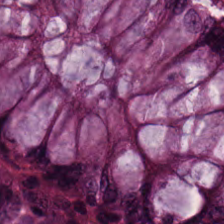224×224 pixel tile; H&E stain.
Tissue type: normal colon mucosa.
